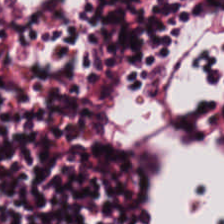224×224 px tile · 0.5 µm/px · H&E stain. Q: Identify the tissue.
A: Lymphoid infiltrate.
